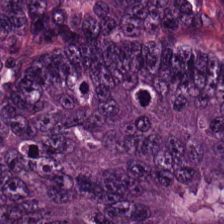Whole-slide-image patch · 0.5 µm/px · hematoxylin-and-eosin stained section.
This patch shows malignant epithelium.
